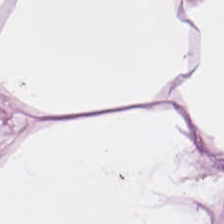224×224 pixel tile. Formalin-fixed paraffin-embedded section. Hematoxylin-and-eosin stained section. Tissue type — adipose.
